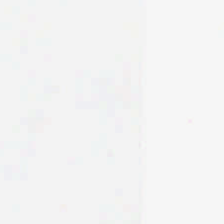H&E; 224×224 pixel tile; brightfield.
This field is background (no tissue).
